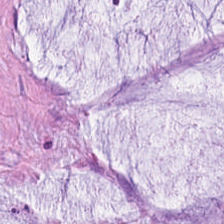Hematoxylin-and-eosin stained section. {"tissue_type": "extracellular mucin"}
